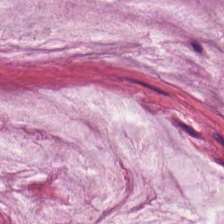224×224 pixel tile. 0.5 microns per pixel. H&E stain.
Q: What is shown here?
A: Mucus.
